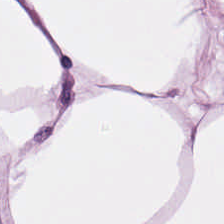0.5 µm per pixel. 224×224 px patch. H&E stain. Histology → fat tissue.
